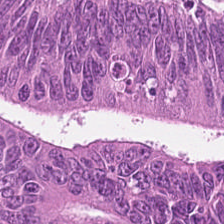H&E — Classification: colorectal adenocarcinoma.
